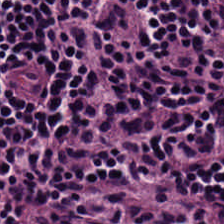H&E-stained tissue section. Tissue type = lymphocytic infiltrate.
